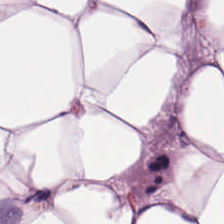The predominant tissue is adipose.
